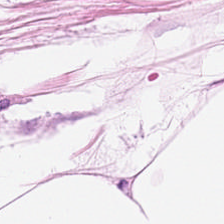FFPE; hematoxylin and eosin. Tissue type = adipose.
